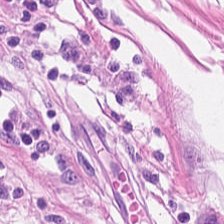Brightfield microscopy · hematoxylin-and-eosin stained section · 0.5 µm per pixel — {"tissue_type": "muscularis"}
